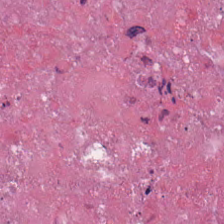Hematoxylin-and-eosin stained section. 20× equivalent magnification. Histology → debris.
